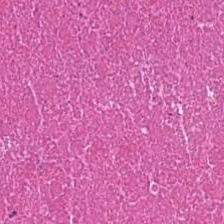Stain: H&E stain.
Preparation: FFPE.
Predominant tissue: debris.
